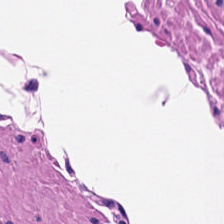Brightfield microscopy; hematoxylin-and-eosin stained section.
Q: What is shown here?
A: Muscularis.
